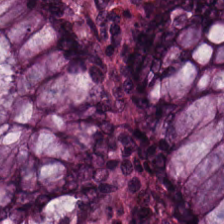H&E stain · FFPE — Tissue type: benign colonic mucosa.
